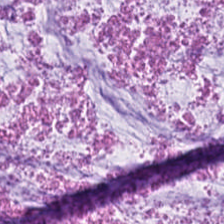Hematoxylin and eosin. This field is mucus.
